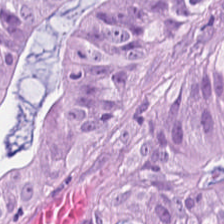0.5 µm/px · H&E stain · 224×224 px tile — Q: Identify the tissue.
A: Adenocarcinoma.
